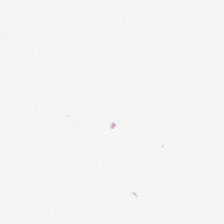This field is background (no tissue).
